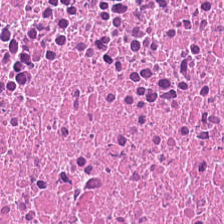H&E-stained tissue section showing debris.
